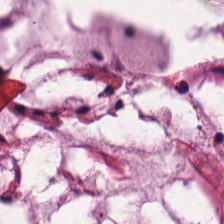The tissue here is mucus.
